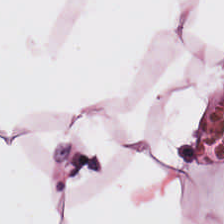H&E-stained tissue section; 20× equivalent magnification; 224×224 pixel tile.
Q: What is the predominant tissue type?
A: Adipocytes.
